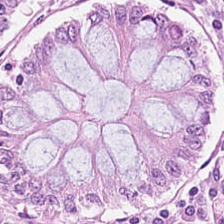H&E-stained tissue section. {"tissue_type": "non-neoplastic colon mucosa"}
